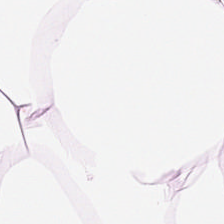H&E stain. 0.5 µm per pixel. 224×224 px patch — The predominant tissue is adipocytes.
